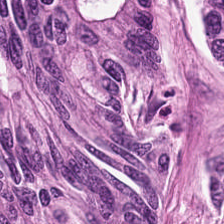Predominant tissue = colorectal adenocarcinoma.
